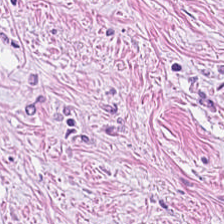0.5 µm/px · H&E stain. Histology → desmoplastic stroma.
